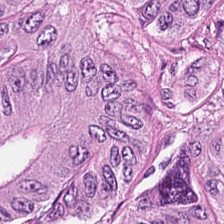The tissue here is adenocarcinoma.
